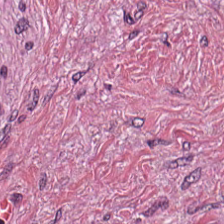Hematoxylin-and-eosin section: desmoplastic stroma.
